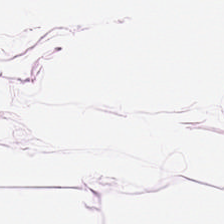H&E stain.
The tissue type is fat tissue.
